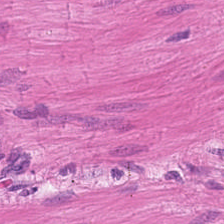This field is smooth muscle.
